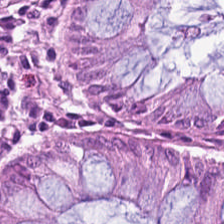{"tissue_type": "non-neoplastic colon mucosa"}
